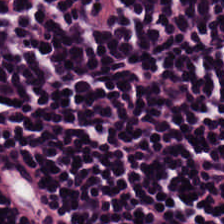H&E-stained tissue section · 0.5 µm per pixel — Classification: lymphocytes.
